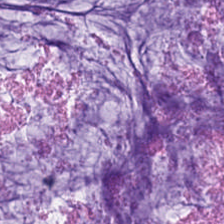H&E — Predominantly mucus.
